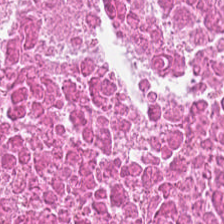224×224 px tile; hematoxylin-and-eosin stained section — {"tissue_type": "cellular debris"}
